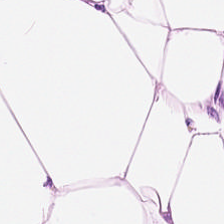Hematoxylin and eosin. Predominantly adipocytes.
